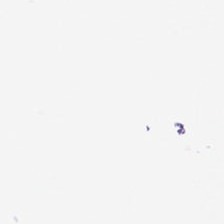Hematoxylin-and-eosin stained section. Empty background.
